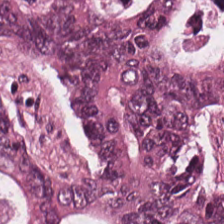H&E stain — Q: What type of tissue is this?
A: Colorectal adenocarcinoma epithelium.
